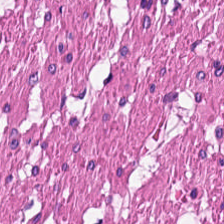H&E. Smooth muscle.
